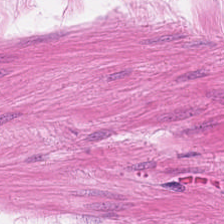WSI patch. H&E-stained tissue section — Predominant tissue = smooth muscle.
